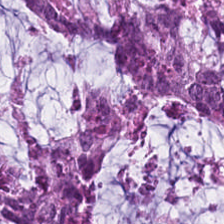Q: What does this patch show?
A: The field shows mucus.
